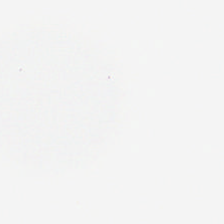224×224 px tile. Formalin-fixed paraffin-embedded section. H&E stain.
Field content = no tissue.
